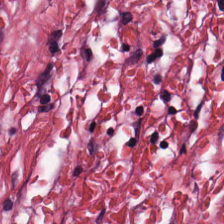Hematoxylin and eosin. This patch shows tumor stroma.
